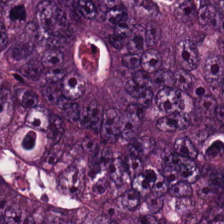Stain: H&E-stained tissue section.
Predominant tissue: colorectal adenocarcinoma epithelium.
